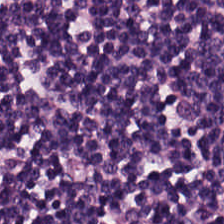H&E stain — The predominant tissue is lymphocytes.
